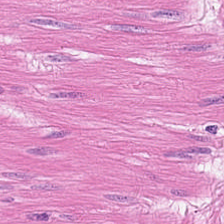H&E stain.
{"tissue_type": "muscularis"}
